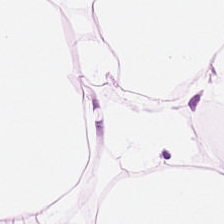H&E-stained tissue section. Whole-slide-image patch.
Histology — adipose tissue.
